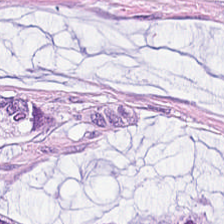Hematoxylin-and-eosin section: mucin.
